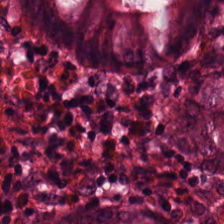20× equivalent magnification · formalin-fixed paraffin-embedded section · H&E-stained tissue section.
{"tissue_type": "non-neoplastic colon mucosa"}
